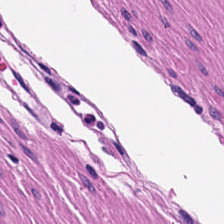20× equivalent magnification; H&E. Histology — smooth-muscle tissue.
